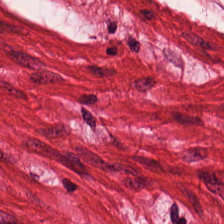Formalin-fixed paraffin-embedded section · H&E stain · 224×224 pixel tile.
Classification — muscularis.
